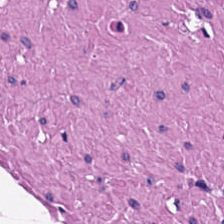H&E · whole-slide-image patch · 0.5 µm per pixel — Classification — smooth-muscle tissue.
